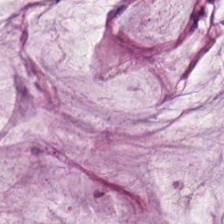Hematoxylin and eosin. Formalin-fixed paraffin-embedded section — Predominantly mucus.
